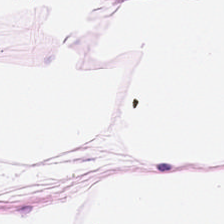Hematoxylin-and-eosin stained section. This patch shows adipose tissue.
